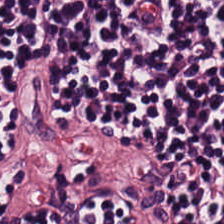Hematoxylin-and-eosin stained section — Tissue type = lymphocytic infiltrate.
